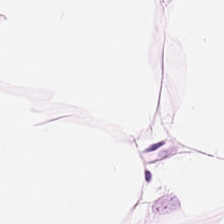H&E-stained tissue section. Tissue class — fat tissue.
